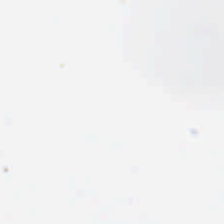H&E stain; 224×224 px patch; 0.5 microns per pixel — Q: Classify this patch.
A: The field shows background (no tissue).
